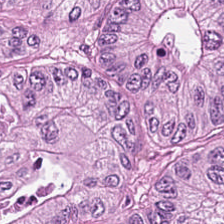Hematoxylin and eosin. FFPE.
The tissue type is colorectal adenocarcinoma.
